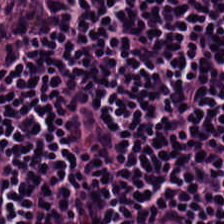Hematoxylin-and-eosin stained section. Classification = lymphocyte aggregate.
